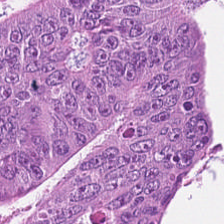Stain: hematoxylin and eosin.
Tile size: 224×224 px patch.
Resolution: 0.5 microns per pixel.
Tissue class: tumor epithelium.
